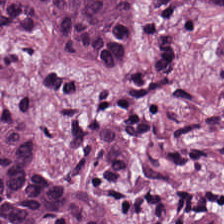Hematoxylin-and-eosin stained section.
Tissue type — colorectal adenocarcinoma.
